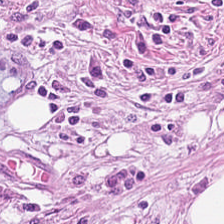H&E-stained tissue section.
Q: What does this patch show?
A: The field shows desmoplastic stroma.
